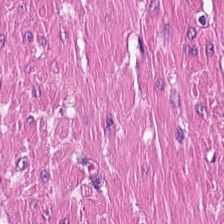H&E. Q: Identify the tissue.
A: It is smooth-muscle tissue.
